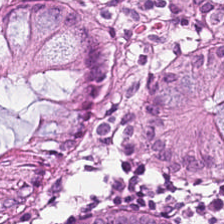Stain: H&E-stained tissue section.
Tissue type: benign colonic mucosa.
